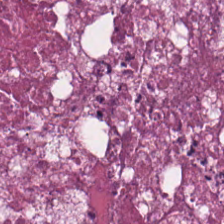Q: What is shown here?
A: Cellular debris.
